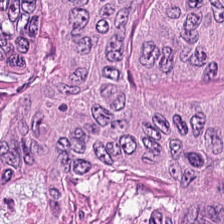Showing malignant epithelium.
